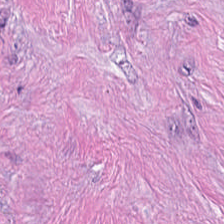Tissue class: cancer-associated stroma.
